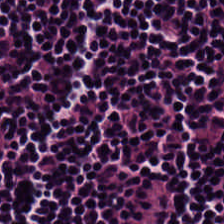Whole-slide-image patch · FFPE · H&E stain — {"tissue_type": "lymphocytic infiltrate"}
